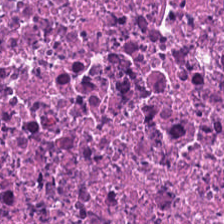The tissue here is necrotic debris.
